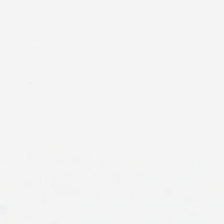H&E-stained tissue section — {"content": "no tissue"}
